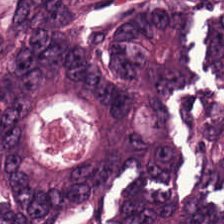224×224 px tile. H&E. The predominant tissue is malignant epithelium.
